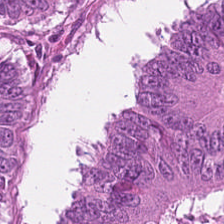H&E — tumor epithelium.
